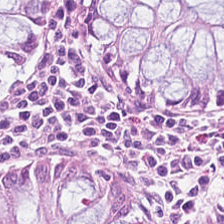H&E-stained tissue section · FFPE · 0.5 µm/px. Q: What type of tissue is this?
A: The field shows non-neoplastic colon mucosa.
